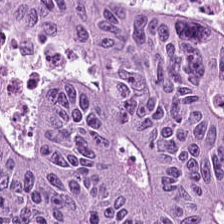H&E-stained tissue section.
Tissue class — adenocarcinoma.
